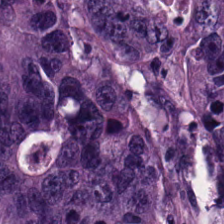H&E — Predominantly tumor epithelium.
